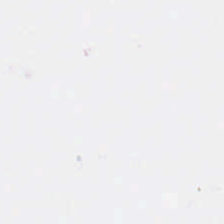H&E. Content: background.
